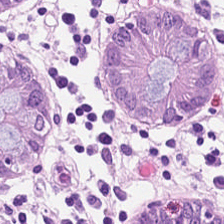Showing normal colon mucosa.
